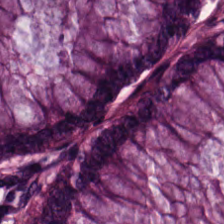Formalin-fixed paraffin-embedded section. Hematoxylin-and-eosin stained section. Showing benign colonic mucosa.
